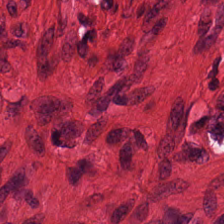The predominant tissue is smooth muscle.
